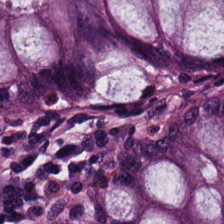Tissue class = benign colonic mucosa.
